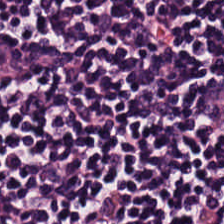H&E. This field is lymphocyte aggregate.
